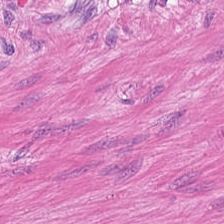0.5 microns per pixel. Hematoxylin-and-eosin stained section — Showing smooth muscle.
